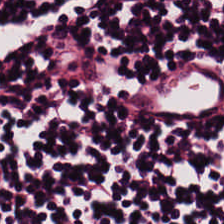Hematoxylin and eosin — Tissue: lymphocytic infiltrate.
